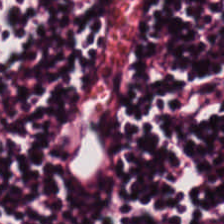Formalin-fixed paraffin-embedded section. H&E-stained tissue section — Lymphoid infiltrate.
